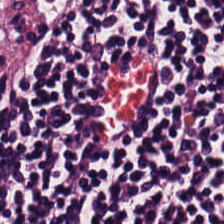224×224 pixel tile; H&E stain — Lymphocyte aggregate.
